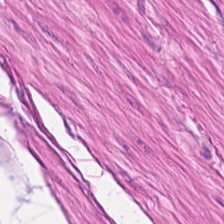H&E patch showing muscularis.
